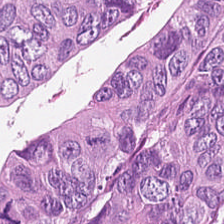Hematoxylin-and-eosin stained section. Impression → tumor epithelium.
